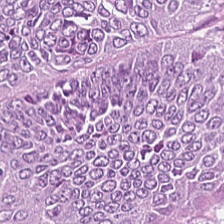FFPE tissue section. 20× equivalent magnification. H&E-stained tissue section — Tissue: adenocarcinoma.
